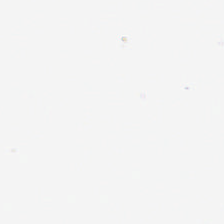Classification = empty background.
